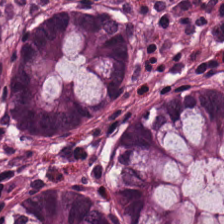H&E — The tissue here is normal colon mucosa.
